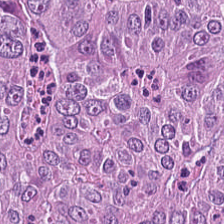Brightfield microscopy. H&E stain. 224×224 px tile.
Q: What tissue is shown?
A: Colorectal adenocarcinoma.
